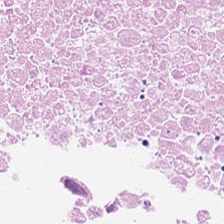H&E stain — Q: What is shown here?
A: The field shows cellular debris.
